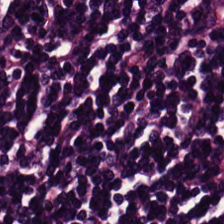FFPE; H&E — Q: Identify the tissue.
A: It is lymphocyte aggregate.
